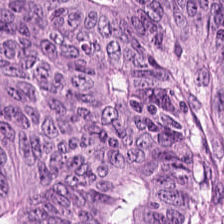Brightfield · H&E.
Impression → colorectal adenocarcinoma.
